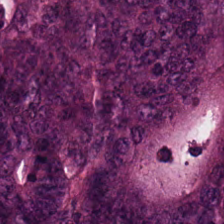H&E · formalin-fixed paraffin-embedded section · WSI patch. The tissue here is colorectal adenocarcinoma.
